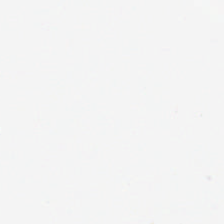H&E. 224×224 px tile. Background (no tissue).
